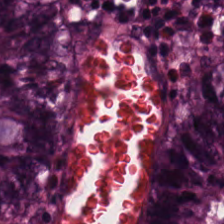H&E. This field is non-neoplastic colon mucosa.
